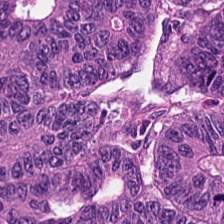Whole-slide-image patch. H&E.
{"tissue_type": "malignant epithelium"}
